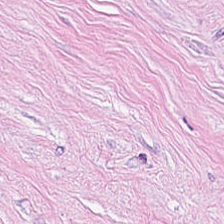20× equivalent magnification. Formalin-fixed paraffin-embedded section. H&E-stained tissue section.
Classification = tumor stroma.
